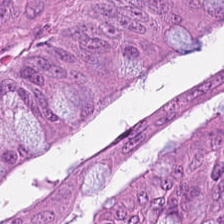Classification: malignant epithelium.
